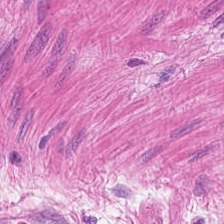H&E-stained tissue section — Muscularis.
